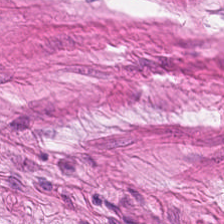Whole-slide-image patch; hematoxylin-and-eosin stained section. Predominant tissue — muscularis.
